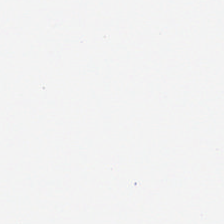H&E stain. 20× equivalent magnification.
{"content": "background"}
